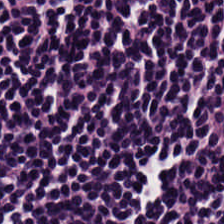WSI patch. Hematoxylin and eosin. FFPE tissue section. The predominant tissue is lymphocyte aggregate.
